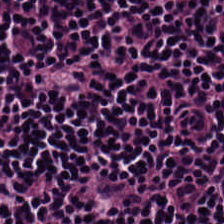Hematoxylin and eosin — The tissue here is lymphoid infiltrate.
